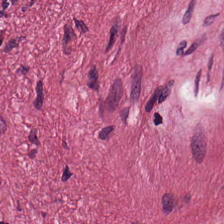H&E stain · 224×224 pixel tile — Q: What type of tissue is this?
A: Tumor-associated stroma.
